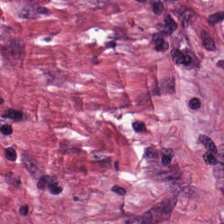H&E stain. 0.5 µm/px. Showing cancer-associated stroma.
